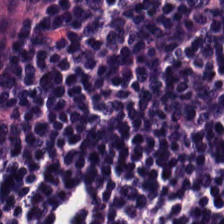224×224 px tile · H&E.
Tissue — lymphocytes.
